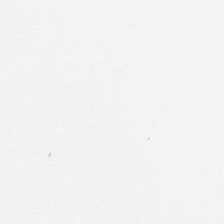Stain: H&E-stained tissue section.
Content: background.
